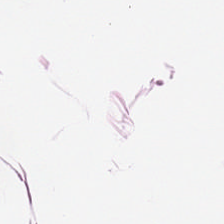H&E.
Predominantly adipocytes.
